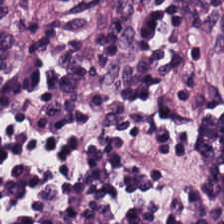Hematoxylin-and-eosin stained section. The predominant tissue is lymphocytes.
